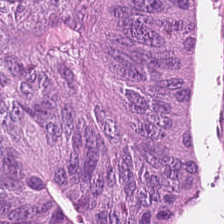Formalin-fixed paraffin-embedded section; 224×224 px tile; hematoxylin and eosin — This field is colorectal adenocarcinoma epithelium.
